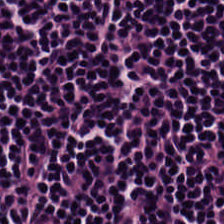Hematoxylin and eosin — Predominantly lymphocyte aggregate.
